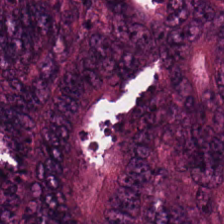Hematoxylin-and-eosin section: malignant epithelium.
